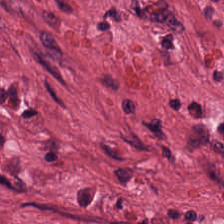Hematoxylin-and-eosin stained section.
Predominant tissue = tumor stroma.
